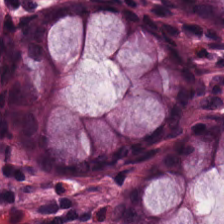Hematoxylin-and-eosin stained section. Q: What tissue type is shown here?
A: The field shows benign colonic mucosa.
